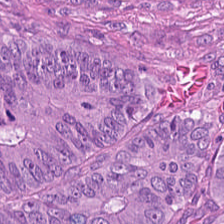Histology → adenocarcinoma.
